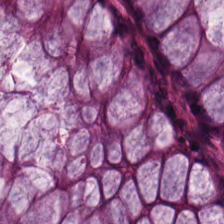H&E stain. The predominant tissue is normal colonic mucosa.
